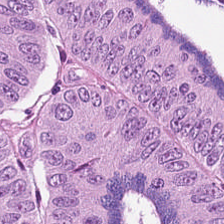H&E — The tissue here is malignant epithelium.
